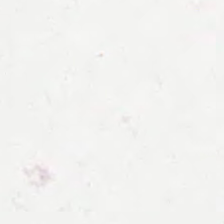H&E — Q: What is shown here?
A: No tissue.
